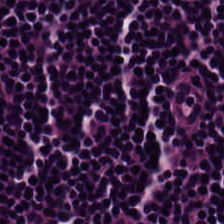H&E. Formalin-fixed paraffin-embedded section. 224×224 px patch — Q: What does this patch show?
A: Lymphocyte aggregate.
